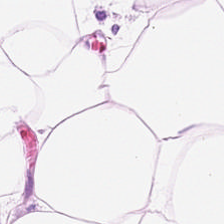H&E-stained tissue section. Finding — adipose tissue.
